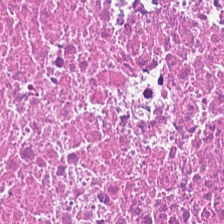Hematoxylin and eosin · 224×224 px patch. The predominant tissue is debris.
